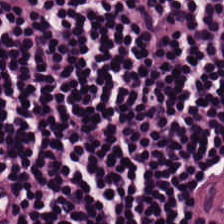Hematoxylin and eosin — {"tissue_type": "lymphocyte aggregate"}
